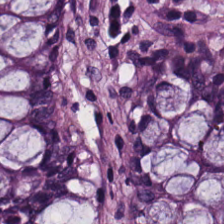Hematoxylin-and-eosin section: non-neoplastic colon mucosa.
